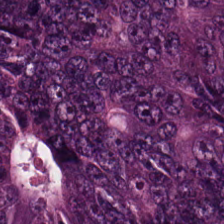Histology → adenocarcinoma.
